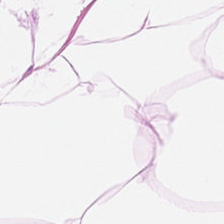H&E-stained tissue section. Adipocytes.
